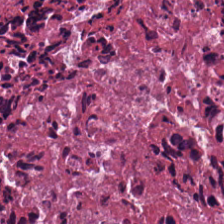Stain: hematoxylin and eosin.
Predominant tissue: cellular debris.
